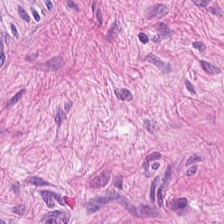H&E-stained section; the field shows muscularis.
